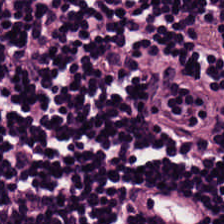Classification: lymphoid infiltrate.
